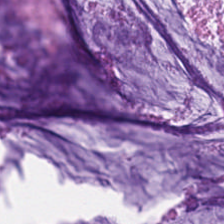Hematoxylin and eosin.
Predominant tissue: extracellular mucin.
